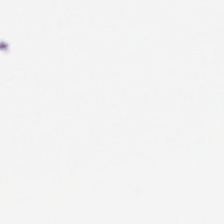No tissue present; background only.
